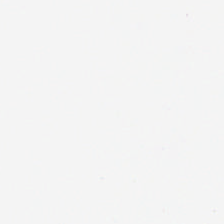Hematoxylin-and-eosin stained section. Content — empty background.
